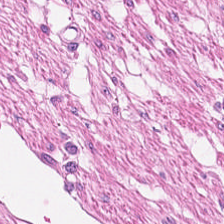The tissue here is muscularis.
